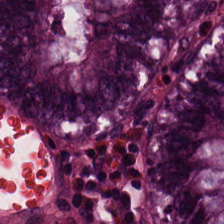Stain: H&E stain.
Tissue type: normal colonic mucosa.
